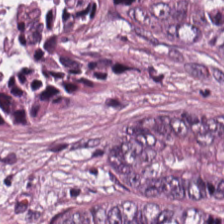Impression — colorectal adenocarcinoma epithelium.
